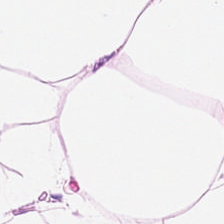Hematoxylin-and-eosin stained section; 224×224 pixel tile; brightfield microscopy. Q: Classify this patch.
A: It is adipocytes.
